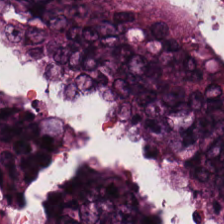Stain: H&E stain.
Tissue: colorectal adenocarcinoma.
